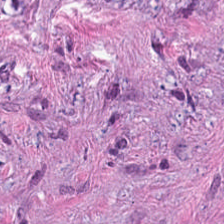Formalin-fixed paraffin-embedded section · hematoxylin and eosin · 0.5 microns per pixel — Predominantly desmoplastic stroma.
